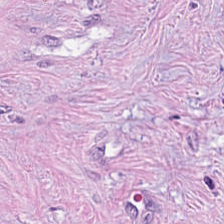H&E · formalin-fixed paraffin-embedded section · 0.5 µm per pixel.
{"tissue_type": "tumor stroma"}
